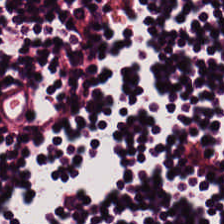Whole-slide-image patch · FFPE tissue section · H&E-stained tissue section — {"tissue_type": "lymphocytes"}
